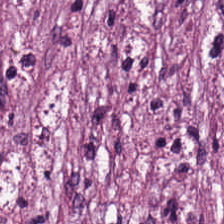Hematoxylin and eosin — This patch shows cancer-associated stroma.
